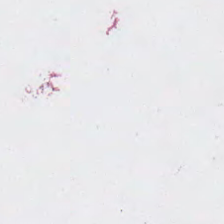H&E stain; 224×224 px tile.
Impression → no tissue.
